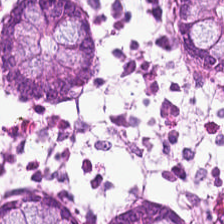Brightfield. H&E stain. FFPE tissue section. Q: What tissue type is shown here?
A: This is normal colon mucosa.
